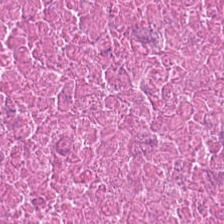0.5 microns per pixel. H&E — The predominant tissue is debris.
